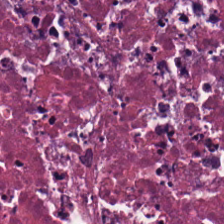0.5 µm per pixel; hematoxylin-and-eosin stained section.
Histology → debris.
